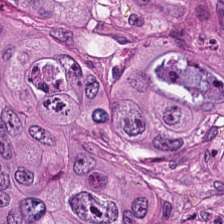Stain: hematoxylin-and-eosin stained section.
Predominant tissue: malignant epithelium.
